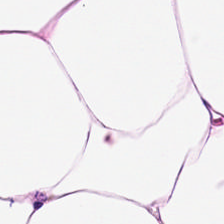Hematoxylin-and-eosin stained section.
Adipose tissue.
